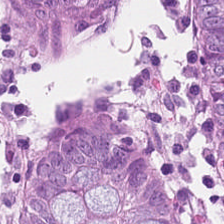Hematoxylin-and-eosin stained section · formalin-fixed paraffin-embedded section.
Finding — non-neoplastic colon mucosa.
